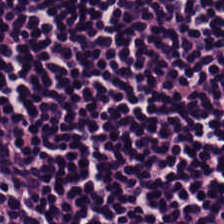H&E-stained tissue section. WSI patch — Q: What is shown here?
A: The field shows lymphocytes.
